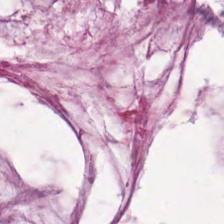Classification — extracellular mucin.
